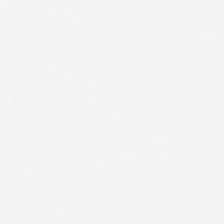H&E-stained tissue section — Background (no tissue).
